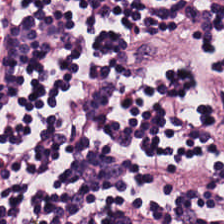0.5 µm per pixel; hematoxylin and eosin. This patch shows lymphoid infiltrate.
